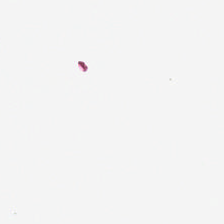H&E-stained tissue section · 224×224 px tile · 0.5 microns per pixel — The field content is no tissue.
